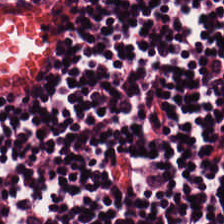224×224 pixel tile. Brightfield microscopy. H&E-stained tissue section. Q: What does this patch show?
A: It is lymphoid infiltrate.
